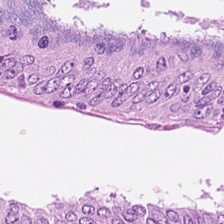FFPE tissue section; H&E — The tissue here is colorectal adenocarcinoma.
